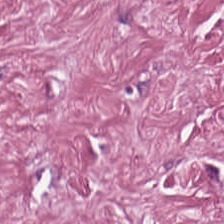H&E-stained tissue section.
The predominant tissue is desmoplastic stroma.
